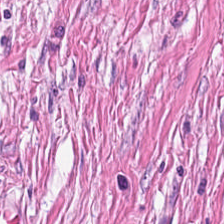H&E.
Histology → tumor-associated stroma.
